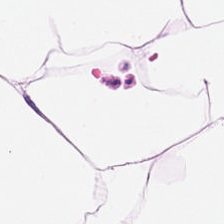224×224 px tile. 20× equivalent magnification. Hematoxylin and eosin. Predominantly adipocytes.
